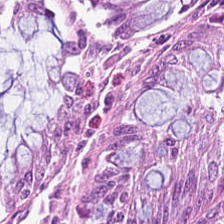Hematoxylin and eosin — This patch shows benign colonic mucosa.
